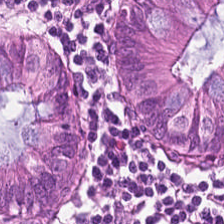H&E stain — Impression → normal colon mucosa.
